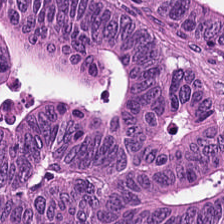H&E.
Q: What is shown in this field?
A: Colorectal adenocarcinoma.
